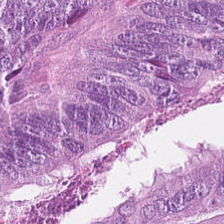H&E stain; FFPE — {"tissue_type": "tumor epithelium"}
